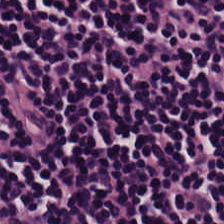Q: What is shown in this field?
A: The field shows lymphocytes.
